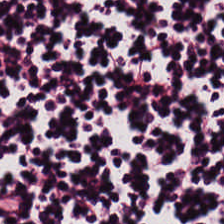Stain: H&E-stained tissue section.
Tissue class: lymphocytic infiltrate.
